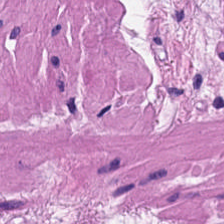0.5 µm per pixel. 224×224 px patch. H&E-stained tissue section.
Classification — smooth-muscle tissue.
